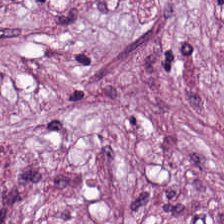H&E stain. Desmoplastic stroma.
